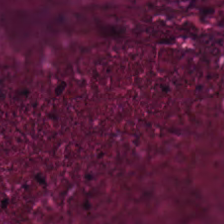H&E stain; 0.5 µm/px. Q: What is shown in this field?
A: The field shows necrotic debris.
